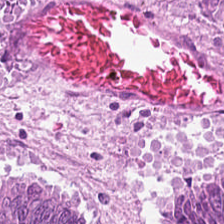H&E — adenocarcinoma.
